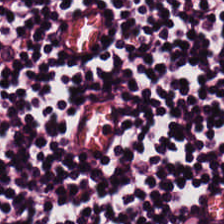20× equivalent magnification; hematoxylin and eosin. The tissue type is lymphocytic infiltrate.
